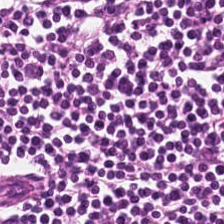This patch shows lymphocytic infiltrate.
